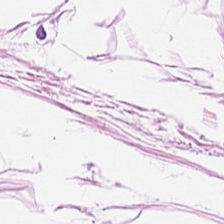H&E; 224×224 px tile; 0.5 µm/px.
The tissue is fat tissue.
